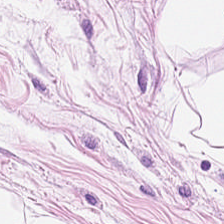H&E stain. Showing adipocytes.
